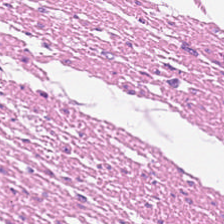Hematoxylin and eosin — Finding — muscularis.
